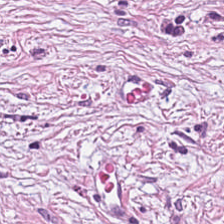Finding — tumor-associated stroma.
